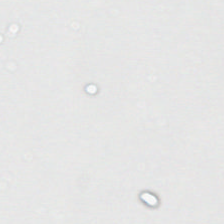H&E-stained tissue section — No tissue.
